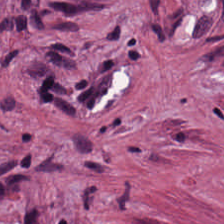H&E patch showing cancer-associated stroma.
